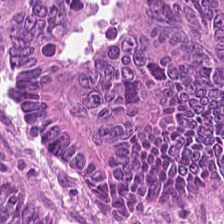Histology — colorectal adenocarcinoma.
